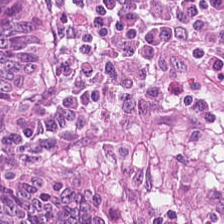Formalin-fixed paraffin-embedded section; H&E-stained tissue section. Tissue = adenocarcinoma.
